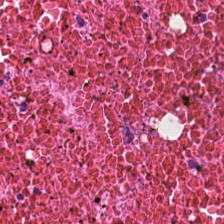Stain: H&E-stained tissue section.
Resolution: 0.5 microns per pixel.
Predominant tissue: cellular debris.
